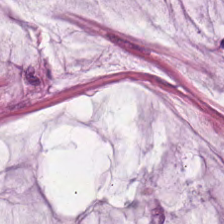H&E; FFPE. Predominant tissue — mucin.
